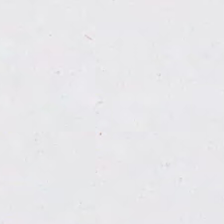FFPE tissue section. H&E.
Q: Classify this patch.
A: The field shows no tissue.
